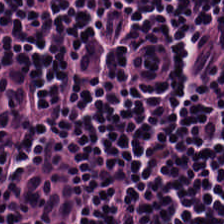Hematoxylin and eosin. WSI patch — Finding — lymphocytic infiltrate.
